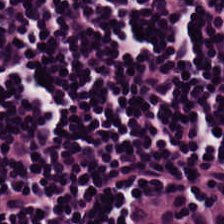Impression — lymphocyte aggregate.
